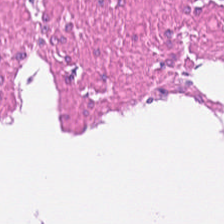Hematoxylin-and-eosin stained section — Finding → smooth muscle.
